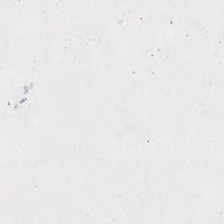Brightfield microscopy · FFPE · H&E-stained tissue section. This patch shows no tissue.
